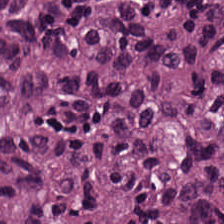H&E-stained tissue section.
Tissue — malignant epithelium.
